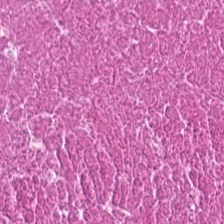Impression → cellular debris.
